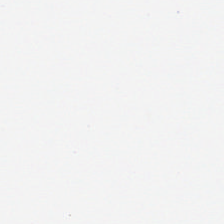H&E stain — Q: What is shown in this field?
A: No tissue.
